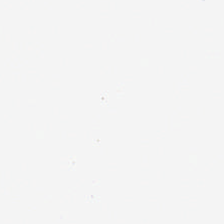0.5 µm per pixel. FFPE tissue section. Hematoxylin-and-eosin stained section. No tissue.
